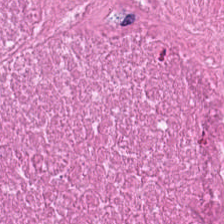FFPE tissue section · brightfield · hematoxylin and eosin.
Impression — debris.
